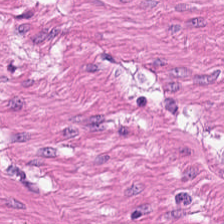Brightfield microscopy · hematoxylin-and-eosin stained section — This field is smooth-muscle tissue.
